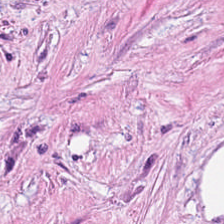Hematoxylin and eosin.
Predominantly desmoplastic stroma.
